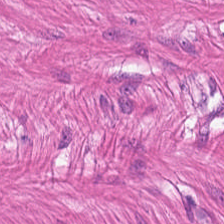224×224 pixel tile · whole-slide-image patch · H&E-stained tissue section — Showing smooth muscle.
